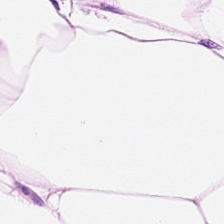Hematoxylin and eosin. Whole-slide-image patch.
Tissue type — adipose.
